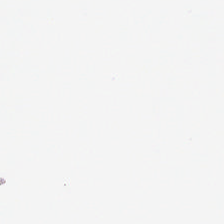H&E-stained tissue section.
Q: What is shown here?
A: It is no tissue.
